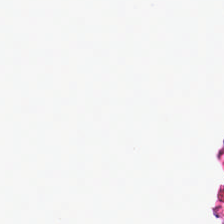Hematoxylin-and-eosin stained section.
Finding — no tissue.
